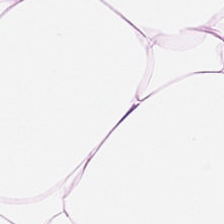H&E.
Showing adipose.
